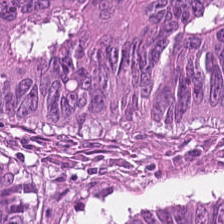Histology — colorectal adenocarcinoma epithelium.
